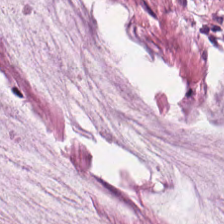H&E-stained tissue section showing mucin.
